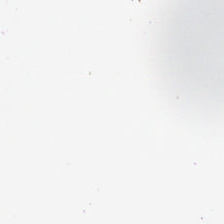WSI patch. Hematoxylin and eosin.
Classification = background (no tissue).
